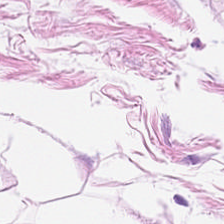Predominant tissue — fat tissue.
